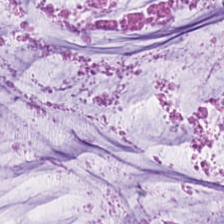Finding → mucus.
